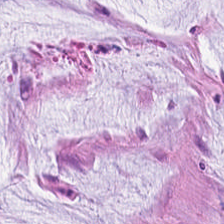H&E. Finding → mucin.
